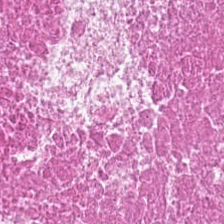H&E-stained tissue section.
Cellular debris.
